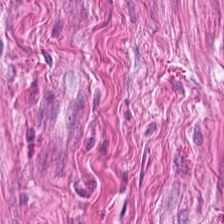224×224 px tile; H&E; FFPE — Showing smooth-muscle tissue.
